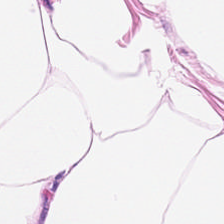Tissue class — adipose.
